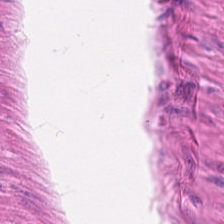This patch shows muscularis.
